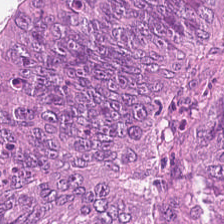H&E.
This field is colorectal adenocarcinoma epithelium.
